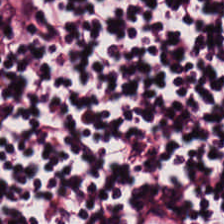FFPE; hematoxylin-and-eosin stained section. Lymphoid infiltrate.
